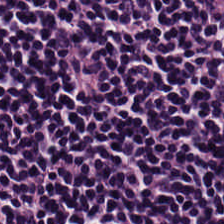H&E — Showing lymphocytes.
